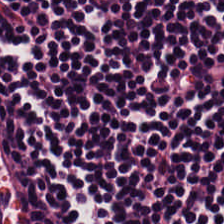H&E stain. The classification is lymphocytic infiltrate.
